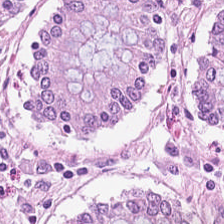Stain: hematoxylin and eosin.
Predominant tissue: normal colonic mucosa.
